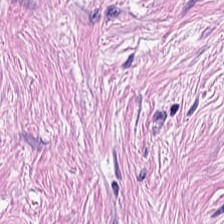H&E stain. Q: Identify the tissue.
A: Tumor stroma.
